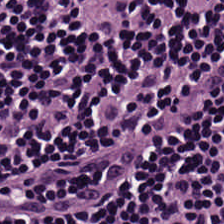Impression → lymphocytic infiltrate.
